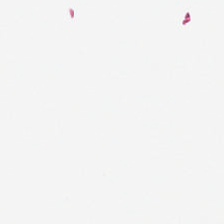224×224 px patch · H&E.
No tissue present; background only.
